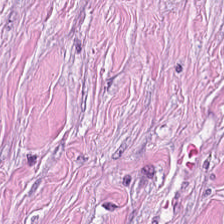Stain: hematoxylin-and-eosin stained section.
Tissue type: desmoplastic stroma.
